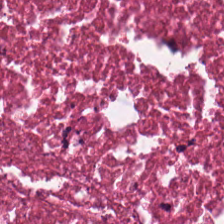Hematoxylin-and-eosin stained section — Impression — cellular debris.
